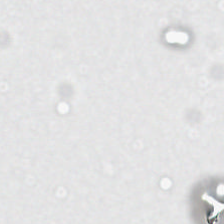Brightfield; H&E-stained tissue section — Field content = empty background.
